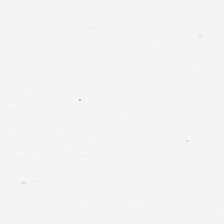Stain: H&E stain.
Content: no tissue.
